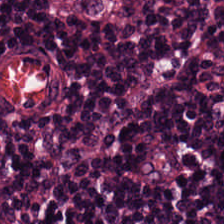224×224 px tile · whole-slide-image patch · hematoxylin-and-eosin stained section. This field is lymphocytic infiltrate.
